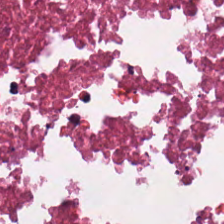H&E — Tissue type: debris.
